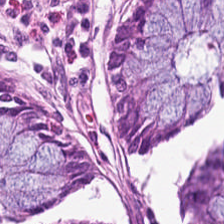Hematoxylin and eosin.
Predominant tissue = non-neoplastic colon mucosa.
